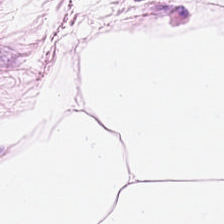H&E. This field is fat tissue.
